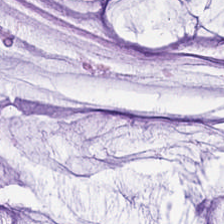H&E-stained tissue section. Predominant tissue: mucus.
